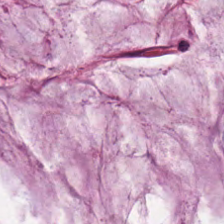224×224 px tile. Hematoxylin-and-eosin stained section. This field is extracellular mucin.
